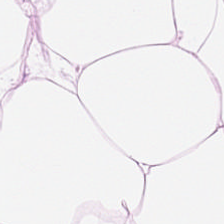Finding → adipocytes.
